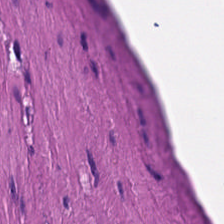H&E.
This patch shows smooth-muscle tissue.
